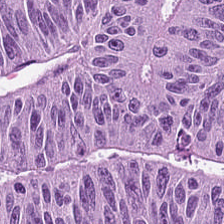Brightfield microscopy; H&E.
Tissue = malignant epithelium.
